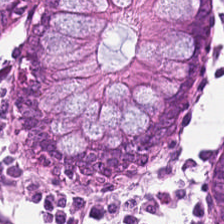H&E-stained tissue section. Predominantly benign colonic mucosa.
